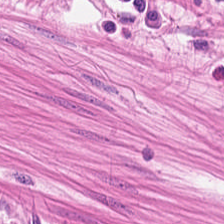Q: What tissue is shown?
A: It is muscularis.
